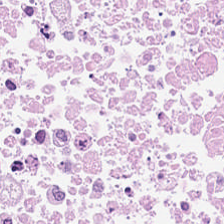Hematoxylin and eosin · formalin-fixed paraffin-embedded section · 0.5 µm/px — Impression → cellular debris.
